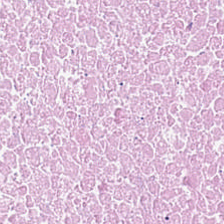H&E.
This patch shows debris.
